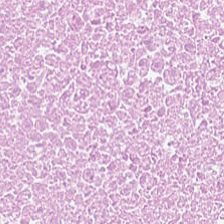20× equivalent magnification; H&E stain.
Histology → debris.
